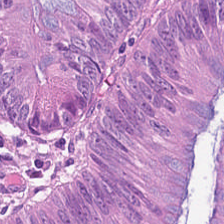Q: What is shown in this field?
A: This is tumor epithelium.
